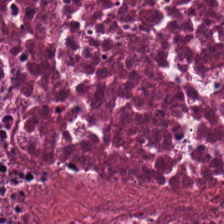Hematoxylin and eosin.
Q: What tissue is shown?
A: The field shows necrotic debris.
